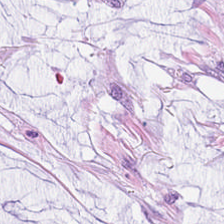FFPE tissue section. Hematoxylin-and-eosin stained section. Tissue = extracellular mucin.
